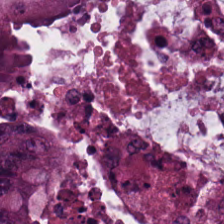H&E stain. Tissue class: colorectal adenocarcinoma epithelium.
